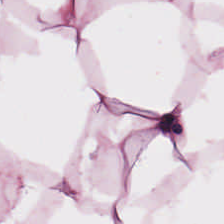Impression → adipocytes.
